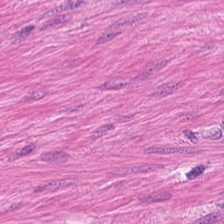224×224 pixel tile. Hematoxylin-and-eosin stained section — This field is smooth muscle.
